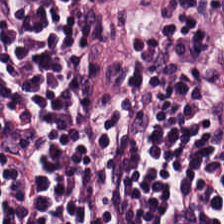This field is lymphoid infiltrate.
